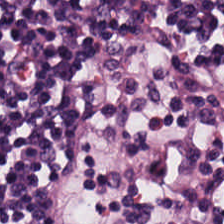Stain: H&E stain.
Tissue: lymphocytic infiltrate.
